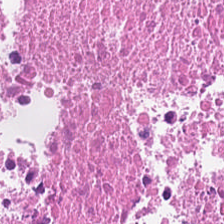Whole-slide-image patch; hematoxylin-and-eosin stained section — Q: What tissue type is shown here?
A: This is cellular debris.
